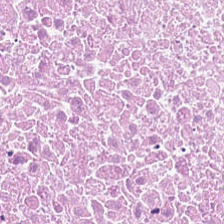H&E.
The predominant tissue is necrotic debris.
